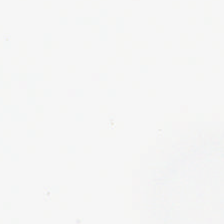H&E.
This field is background (no tissue).
